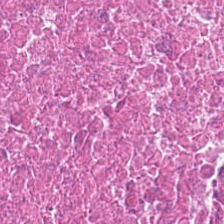20× equivalent magnification; hematoxylin and eosin. Histology — cellular debris.
